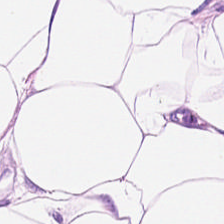Hematoxylin and eosin — This patch shows adipose tissue.
